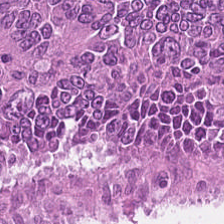H&E — colorectal adenocarcinoma epithelium.
